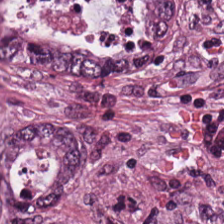FFPE · hematoxylin-and-eosin stained section.
Classification = malignant epithelium.
